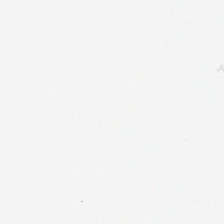Background — no tissue in this field.
